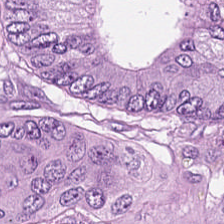Predominant tissue = malignant epithelium.
